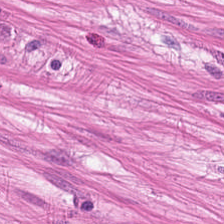H&E. 0.5 microns per pixel. Brightfield — This patch shows smooth muscle.
